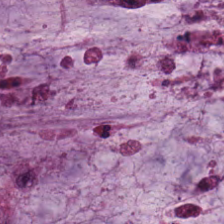Q: Identify the tissue.
A: This is mucin.
